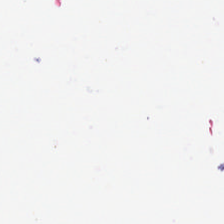H&E stain. Finding → no tissue.
